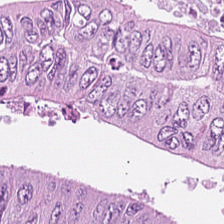WSI patch · H&E-stained tissue section · 0.5 µm per pixel. Predominantly colorectal adenocarcinoma epithelium.
